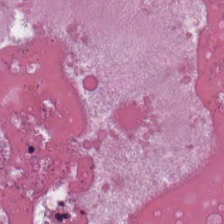FFPE tissue section; brightfield microscopy; H&E. Predominant tissue — cellular debris.
